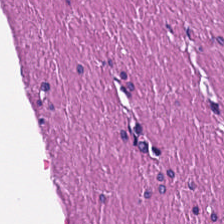Hematoxylin-and-eosin section: muscularis.
